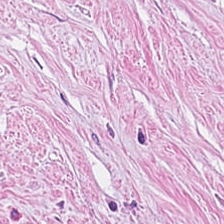WSI patch · hematoxylin and eosin. This field is cancer-associated stroma.
